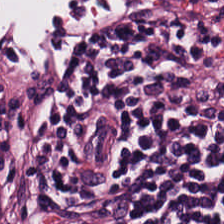Hematoxylin and eosin; brightfield — Lymphocyte aggregate.
